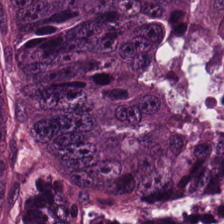H&E-stained tissue section — Q: Identify the tissue.
A: This is colorectal adenocarcinoma.
